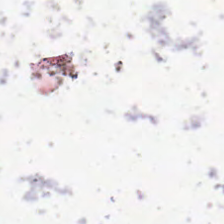Hematoxylin-and-eosin stained section. No tissue present; background only.
